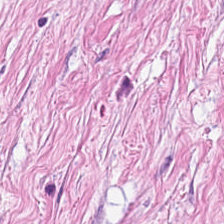H&E stain; 224×224 px tile; FFPE.
Q: What type of tissue is this?
A: It is desmoplastic stroma.
